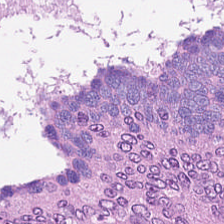Impression — colorectal adenocarcinoma.
